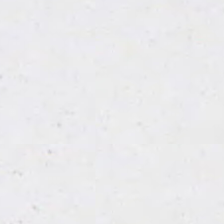Hematoxylin-and-eosin stained section. Field content — background.
